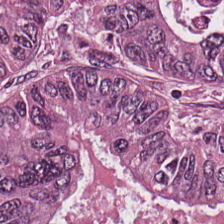FFPE. Hematoxylin-and-eosin stained section.
This patch shows tumor epithelium.
